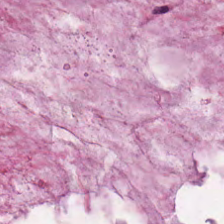Brightfield; hematoxylin-and-eosin stained section — Tissue type: mucin.
